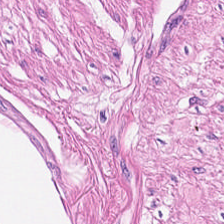Hematoxylin-and-eosin stained section. 224×224 px patch. 0.5 µm per pixel.
{"tissue_type": "smooth-muscle tissue"}
